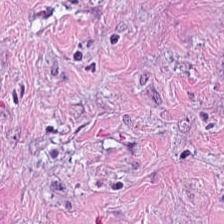Stain: H&E-stained tissue section.
Resolution: 0.5 µm/px.
Predominant tissue: desmoplastic stroma.
